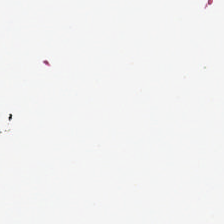Background — no tissue in this field.
